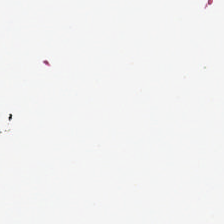Background — no tissue in this field.
